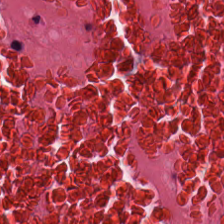Whole-slide-image patch; H&E stain.
Finding → debris.
